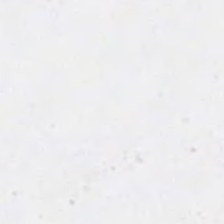H&E-stained tissue section.
Classification = empty background.
